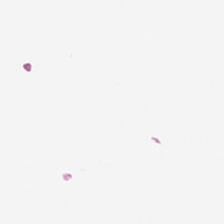20× equivalent magnification; H&E stain. No tissue present; background only.
